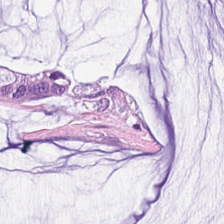H&E-stained tissue section.
Tissue — mucus.
